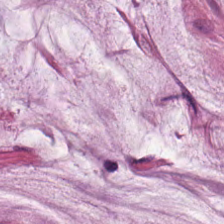H&E-stained tissue section. Q: Classify this patch.
A: The field shows extracellular mucin.
